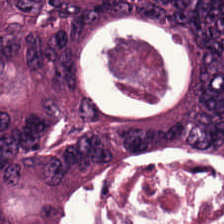Tissue class = colorectal adenocarcinoma epithelium.
